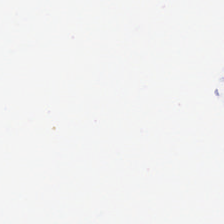Stain: H&E.
Acquisition: brightfield microscopy.
Field content: background (no tissue).
